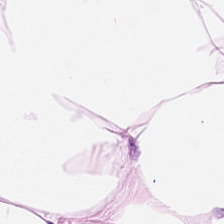Stain: H&E-stained tissue section.
Tissue: adipocytes.
